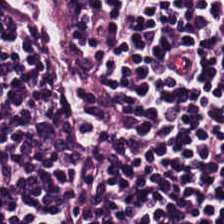Hematoxylin and eosin; brightfield microscopy.
Lymphocytic infiltrate.
